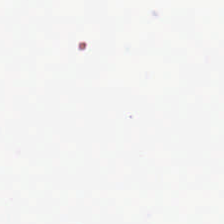Stain: H&E.
Resolution: 20× equivalent magnification.
Content: no tissue.
